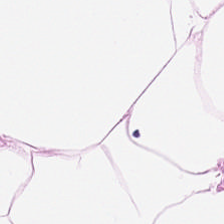Hematoxylin-and-eosin stained section. Formalin-fixed paraffin-embedded section. 0.5 µm/px — Tissue type — adipocytes.
